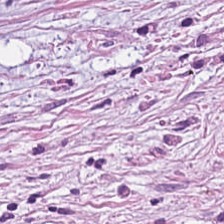Stain: H&E-stained tissue section.
Preparation: FFPE.
Classification: cancer-associated stroma.
